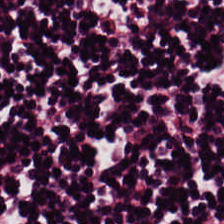Hematoxylin and eosin — Finding → lymphoid infiltrate.
